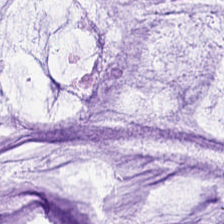FFPE tissue section. H&E stain — This patch shows mucus.
